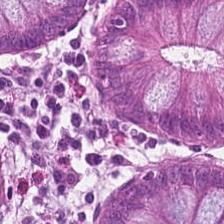H&E patch showing benign colonic mucosa.
